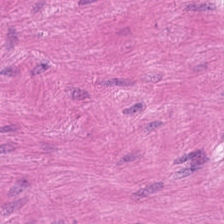H&E — Predominant tissue: smooth muscle.
